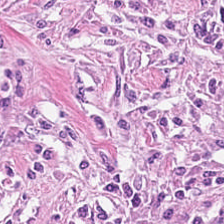Predominant tissue: desmoplastic stroma.
